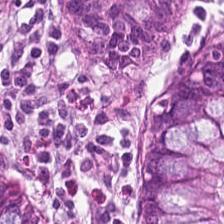Hematoxylin-and-eosin stained section. FFPE tissue section — {"tissue_type": "non-neoplastic colon mucosa"}
